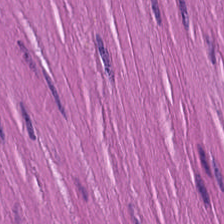Stain: hematoxylin and eosin.
Tissue: smooth muscle.
